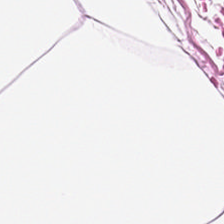Formalin-fixed paraffin-embedded section · brightfield · H&E stain.
The tissue is adipose tissue.
